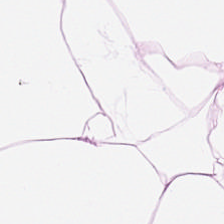Hematoxylin-and-eosin stained section; 224×224 px patch.
Predominant tissue = adipose tissue.
